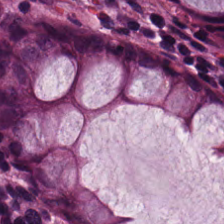Hematoxylin-and-eosin stained section — Q: What tissue type is shown here?
A: The field shows normal colonic mucosa.
